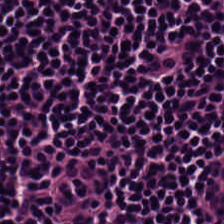H&E stain.
This field is lymphoid infiltrate.
